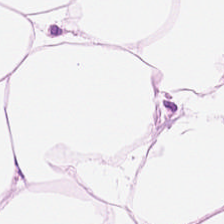H&E-stained section; the field shows adipose.
